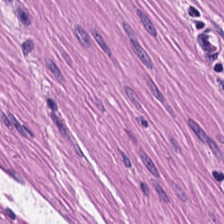FFPE tissue section; hematoxylin and eosin — Smooth-muscle tissue.
